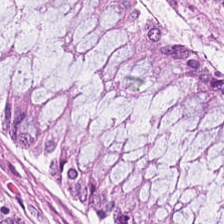Hematoxylin and eosin; 224×224 px patch. Histology → normal colon mucosa.
